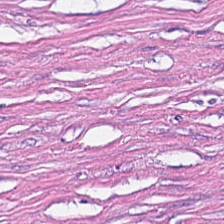Predominant tissue — desmoplastic stroma.
